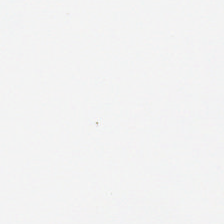0.5 microns per pixel · H&E-stained tissue section.
Empty background.
